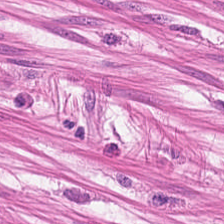Hematoxylin and eosin. Whole-slide-image patch. 0.5 µm per pixel. Tissue: smooth muscle.
